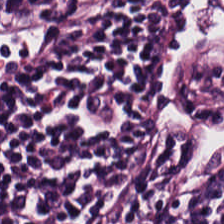Hematoxylin and eosin. Brightfield microscopy. FFPE tissue section — Predominant tissue: lymphoid infiltrate.
